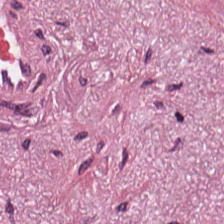Hematoxylin-and-eosin stained section.
This patch shows desmoplastic stroma.
